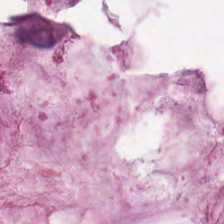Q: What tissue is shown?
A: This is mucus.
